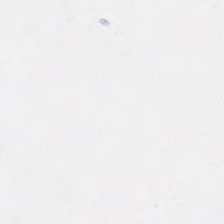This patch shows background (no tissue).
